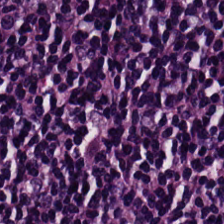224×224 px patch. Hematoxylin and eosin — The tissue type is lymphoid infiltrate.
